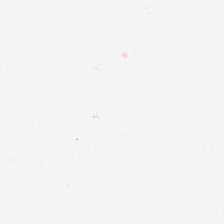FFPE tissue section · 0.5 microns per pixel · hematoxylin and eosin.
Q: Classify this patch.
A: The field shows no tissue.
